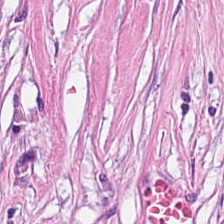H&E stain.
Predominantly desmoplastic stroma.
